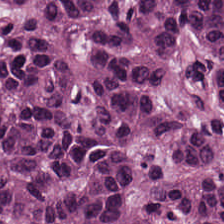Whole-slide-image patch. 224×224 px tile. Hematoxylin-and-eosin stained section — Colorectal adenocarcinoma epithelium.
